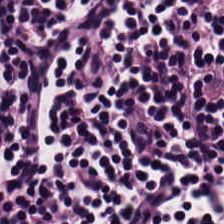H&E; brightfield microscopy. {"tissue_type": "lymphoid infiltrate"}
